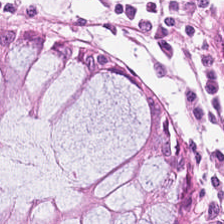Hematoxylin and eosin.
Predominant tissue: normal colonic mucosa.
